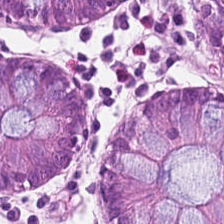H&E stain — Tissue — normal colon mucosa.
